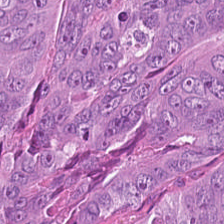Q: Classify this patch.
A: It is malignant epithelium.
